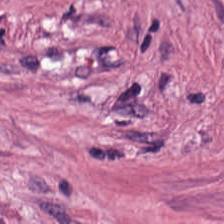0.5 microns per pixel; hematoxylin-and-eosin stained section. Predominant tissue = cancer-associated stroma.
